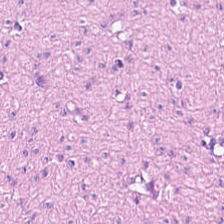FFPE; H&E — The tissue type is muscularis.
